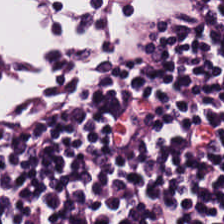FFPE tissue section · H&E-stained tissue section — Lymphocytes.
